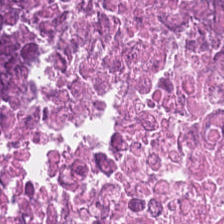Q: Classify this patch.
A: The field shows debris.
